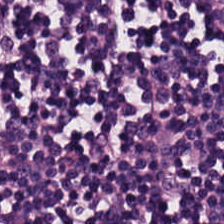Stain: H&E-stained tissue section.
Classification: lymphoid infiltrate.
